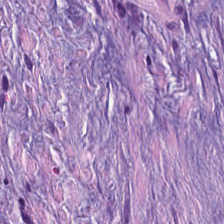H&E.
Tumor-associated stroma.
